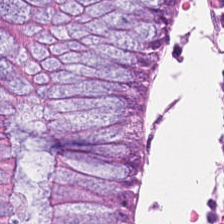0.5 µm/px · hematoxylin-and-eosin stained section.
The tissue is normal colonic mucosa.
